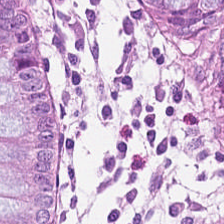Hematoxylin-and-eosin stained section.
Tissue type: normal colon mucosa.
